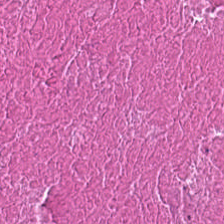Tissue class: debris.
